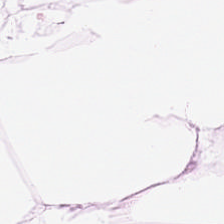224×224 px tile; hematoxylin-and-eosin stained section.
Finding → fat tissue.
